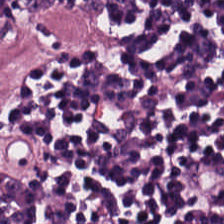Hematoxylin and eosin — Q: What type of tissue is this?
A: Lymphocyte aggregate.
